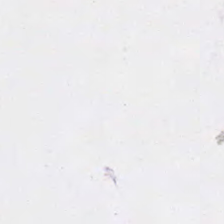0.5 µm/px. H&E-stained tissue section. Q: Classify this patch.
A: This is no tissue.
